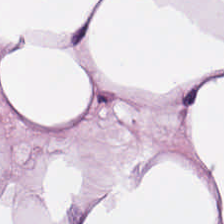H&E. Tissue class = adipocytes.
